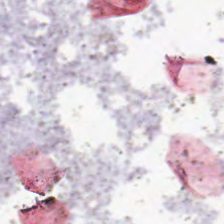H&E-stained tissue section. 224×224 px patch.
Q: What is shown here?
A: This is background (no tissue).
